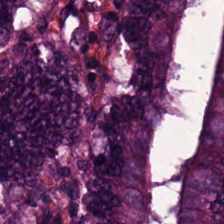Stain: H&E.
Predominant tissue: colorectal adenocarcinoma epithelium.
